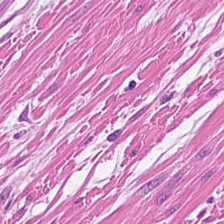{"tissue_type": "smooth-muscle tissue"}
